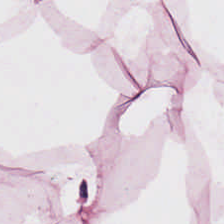H&E stain.
This field is adipocytes.
